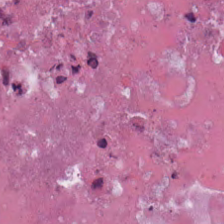H&E-stained tissue section.
Q: What is the predominant tissue type?
A: Necrotic debris.
